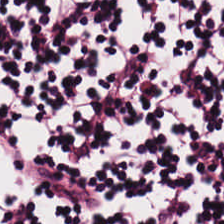WSI patch · hematoxylin-and-eosin stained section · 0.5 µm/px — This field is lymphocytic infiltrate.
